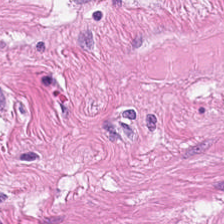H&E-stained tissue section · formalin-fixed paraffin-embedded section · 224×224 px tile — Tissue class = smooth muscle.
